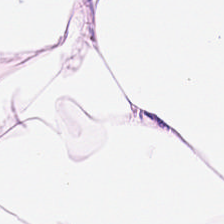Hematoxylin-and-eosin stained section · FFPE tissue section · 224×224 px tile. This patch shows fat tissue.
